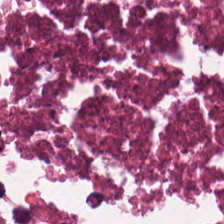Hematoxylin-and-eosin stained section · brightfield microscopy · FFPE. Predominantly debris.
